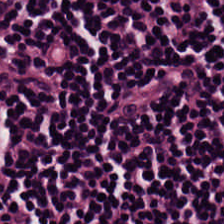The tissue class is lymphocyte aggregate.
